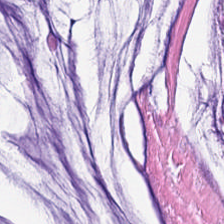224×224 pixel tile · hematoxylin-and-eosin stained section. Finding — extracellular mucin.
